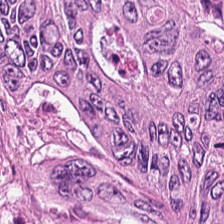Hematoxylin and eosin. Tissue class: colorectal adenocarcinoma epithelium.
